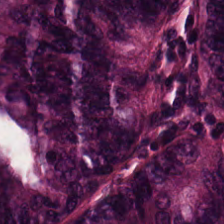H&E-stained tissue section. This field is colorectal adenocarcinoma epithelium.
